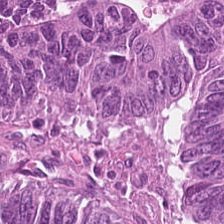Stain: hematoxylin-and-eosin stained section.
Acquisition: brightfield microscopy.
Preparation: FFPE tissue section.
Classification: colorectal adenocarcinoma epithelium.
